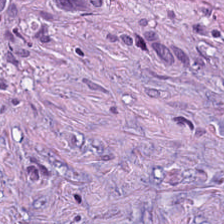224×224 px patch. WSI patch. Hematoxylin-and-eosin stained section. Tissue class = desmoplastic stroma.
